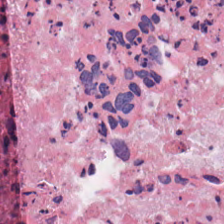Hematoxylin and eosin; 0.5 µm/px; 224×224 px patch. The predominant tissue is cellular debris.
